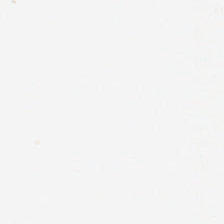Hematoxylin-and-eosin stained section. 224×224 px tile.
Background — no tissue in this field.
